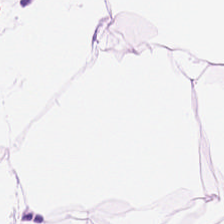Formalin-fixed paraffin-embedded section; H&E-stained tissue section. Adipocytes.
